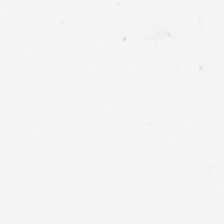Brightfield; H&E.
This field is background (no tissue).
